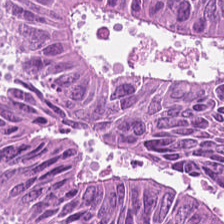H&E stain.
Showing colorectal adenocarcinoma epithelium.
